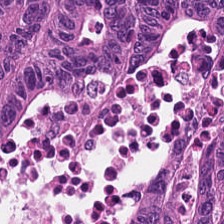This field is colorectal adenocarcinoma.
